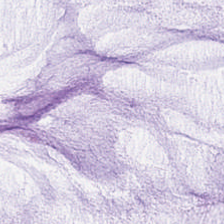Tissue class — mucin.
